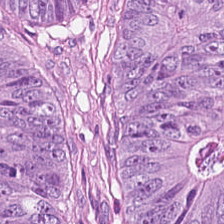{"tissue_type": "adenocarcinoma"}
